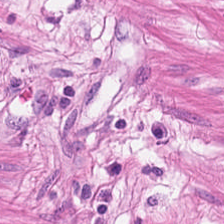WSI patch; FFPE; H&E stain — Classification = muscularis.
